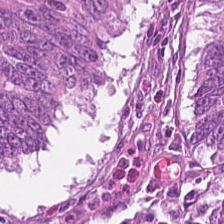Tissue type = colorectal adenocarcinoma epithelium.
